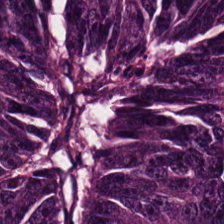Hematoxylin and eosin — Tissue = colorectal adenocarcinoma epithelium.
